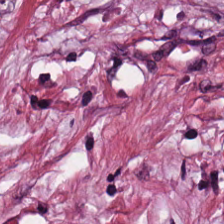H&E — desmoplastic stroma.
